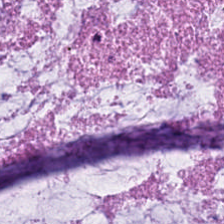H&E-stained tissue section · 0.5 µm per pixel · brightfield. Tissue class: mucin.
